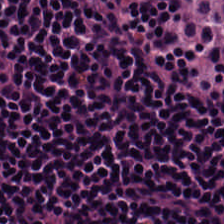224×224 px patch · hematoxylin-and-eosin stained section — Q: What tissue type is shown here?
A: Lymphocytes.
